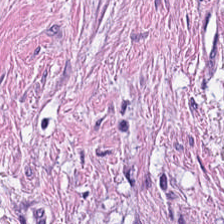Hematoxylin and eosin — Classification: smooth muscle.
